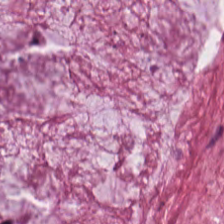H&E-stained tissue section.
Tissue type = mucus.
